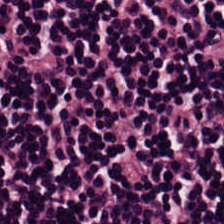This patch shows lymphocyte aggregate.
